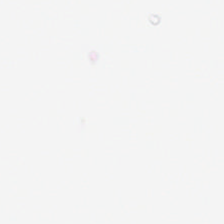Hematoxylin-and-eosin stained section.
Impression → background.
